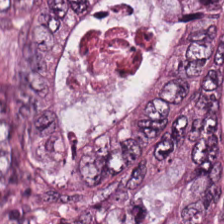Hematoxylin-and-eosin stained section; 20× equivalent magnification; WSI patch.
Showing malignant epithelium.
